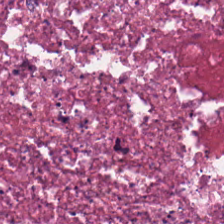Showing cellular debris.
